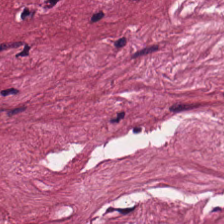H&E; brightfield microscopy; 0.5 µm/px — Classification: tumor stroma.
